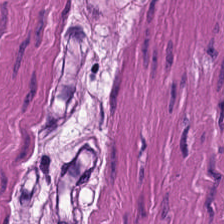WSI patch. H&E. Q: What tissue is shown?
A: This is smooth-muscle tissue.
